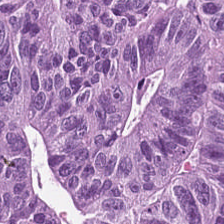H&E-stained tissue section. Predominantly malignant epithelium.
